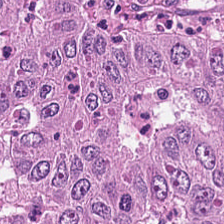Q: What is the predominant tissue type?
A: This is adenocarcinoma.
